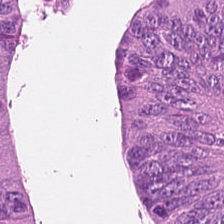H&E — tumor epithelium.
